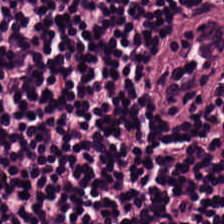Showing lymphocytic infiltrate.
